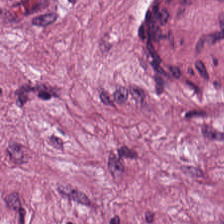Formalin-fixed paraffin-embedded section · H&E — Classification: tumor stroma.
